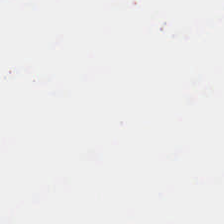Hematoxylin-and-eosin stained section — Field content: no tissue.
